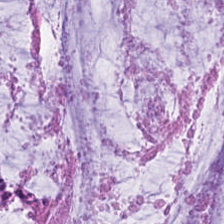H&E · 0.5 µm per pixel.
Predominantly extracellular mucin.
